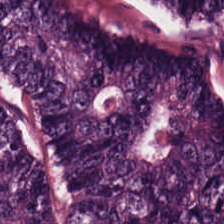H&E; 224×224 px patch. The tissue here is tumor epithelium.
